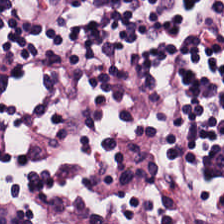Q: What type of tissue is this?
A: It is lymphocytic infiltrate.
